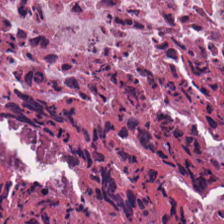Stain: hematoxylin-and-eosin stained section.
Resolution: 0.5 µm per pixel.
Tissue type: cellular debris.
